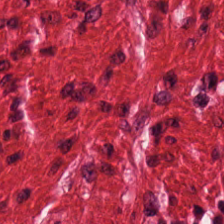Hematoxylin-and-eosin stained section; WSI patch — The predominant tissue is muscularis.
